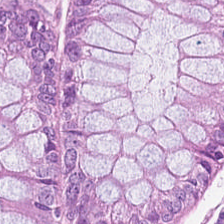H&E stain.
{"tissue_type": "normal colon mucosa"}
